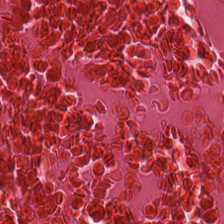Hematoxylin-and-eosin stained section · FFPE tissue section — Predominant tissue = debris.
